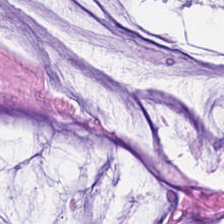224×224 px patch; H&E.
Predominant tissue — extracellular mucin.
